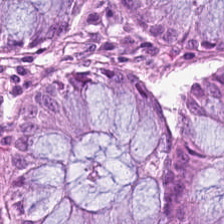H&E.
Predominantly benign colonic mucosa.
